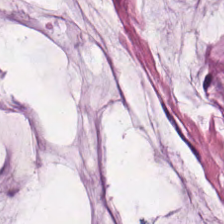Hematoxylin-and-eosin stained section.
Tissue type = mucin.
